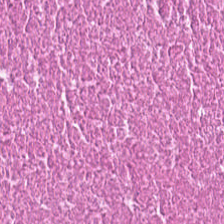Hematoxylin-and-eosin stained section; 20× equivalent magnification; 224×224 px patch.
Predominant tissue: debris.
